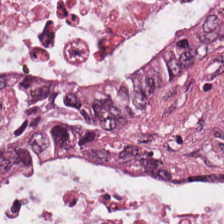Stain: hematoxylin and eosin.
Preparation: FFPE tissue section.
Tile size: 224×224 px tile.
Tissue class: colorectal adenocarcinoma.
